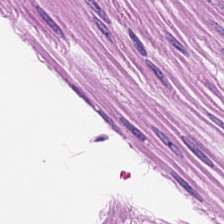Q: What is the predominant tissue type?
A: It is muscularis.
